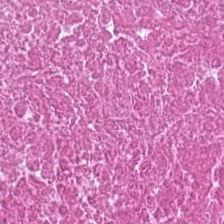Q: What type of tissue is this?
A: This is debris.
